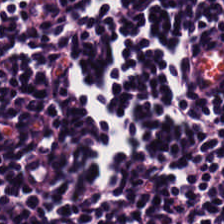H&E-stained tissue section showing lymphocytes.
